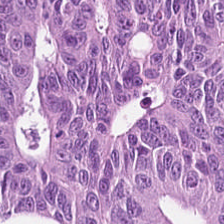H&E stain · 224×224 px patch — Finding — colorectal adenocarcinoma epithelium.
